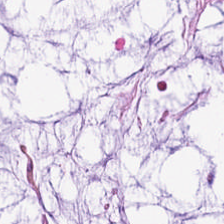Hematoxylin-and-eosin stained section; 224×224 pixel tile — Tissue class: extracellular mucin.
